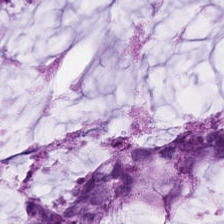FFPE · H&E — Tissue: extracellular mucin.
